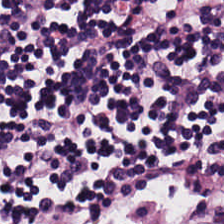Hematoxylin-and-eosin stained section · formalin-fixed paraffin-embedded section. Classification: lymphocytic infiltrate.
